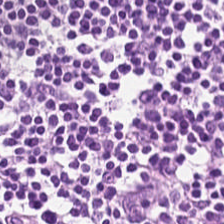Hematoxylin and eosin · 20× equivalent magnification · brightfield. The predominant tissue is lymphocytic infiltrate.
